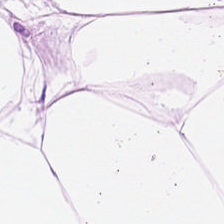Stain: H&E-stained tissue section.
Tissue class: fat tissue.
